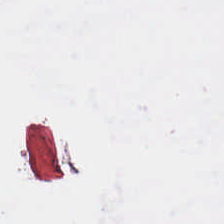0.5 µm/px. Hematoxylin and eosin. Empty field — empty background.
